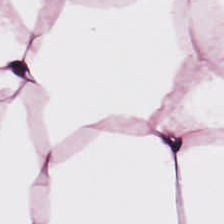Hematoxylin-and-eosin stained section. FFPE tissue section. 224×224 pixel tile. {"tissue_type": "fat tissue"}
